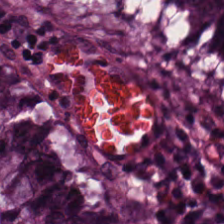FFPE tissue section; hematoxylin and eosin; 20× equivalent magnification.
Impression → non-neoplastic colon mucosa.
